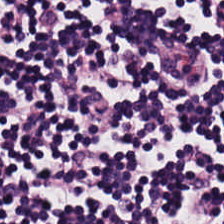Hematoxylin-and-eosin stained section.
Impression → lymphocytic infiltrate.
